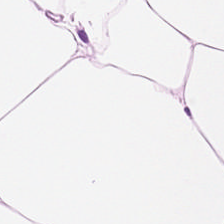224×224 pixel tile · hematoxylin-and-eosin stained section. This field is adipose.
